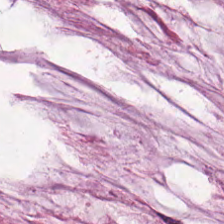Stain: H&E stain.
Tissue type: mucus.
